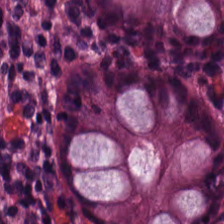H&E; formalin-fixed paraffin-embedded section; 224×224 pixel tile.
Q: Classify this patch.
A: This is normal colon mucosa.
